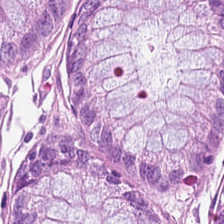H&E-stained tissue section. 0.5 µm/px. FFPE.
Tissue class = non-neoplastic colon mucosa.
